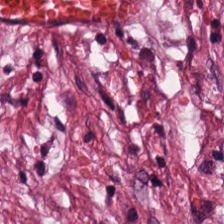Formalin-fixed paraffin-embedded section; 224×224 px patch; hematoxylin and eosin — The tissue here is desmoplastic stroma.
